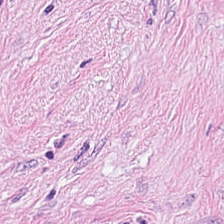0.5 µm/px · H&E · WSI patch.
Tumor stroma.
